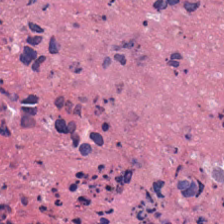H&E — The tissue is cellular debris.
